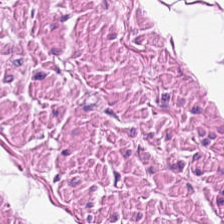{"tissue_type": "muscularis"}
